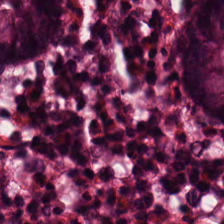Formalin-fixed paraffin-embedded section. H&E. 0.5 microns per pixel. Predominant tissue: normal colon mucosa.
